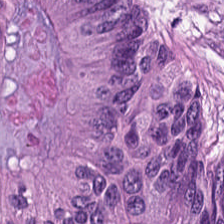Q: What is shown in this field?
A: It is adenocarcinoma.
